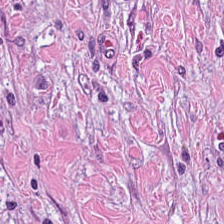Hematoxylin and eosin.
Predominantly tumor-associated stroma.
